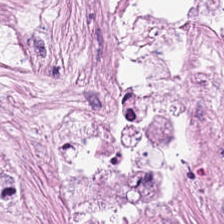{"tissue_type": "desmoplastic stroma"}
